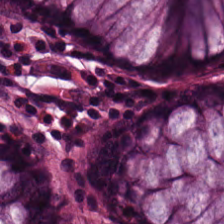FFPE tissue section. Hematoxylin-and-eosin stained section — Histology → normal colon mucosa.
